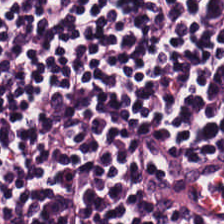H&E stain; 0.5 microns per pixel; 224×224 pixel tile.
The classification is lymphoid infiltrate.
